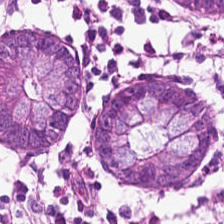Predominantly non-neoplastic colon mucosa.
